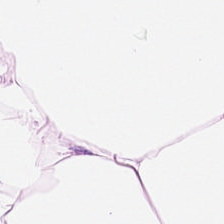Hematoxylin-and-eosin stained section. 0.5 microns per pixel — Finding → adipocytes.
